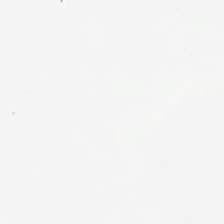H&E.
Q: What does this patch show?
A: This is background.
